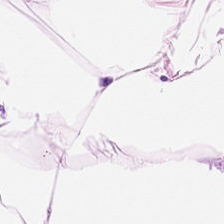Tissue class — fat tissue.
